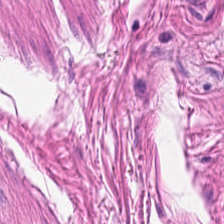Brightfield microscopy. Hematoxylin-and-eosin stained section. FFPE — Showing smooth-muscle tissue.
